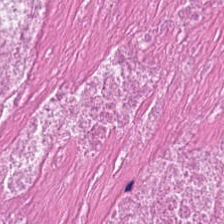Hematoxylin-and-eosin stained section — Tissue type: debris.
